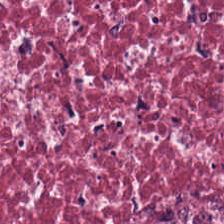Hematoxylin and eosin; 224×224 pixel tile.
Classification = desmoplastic stroma.
